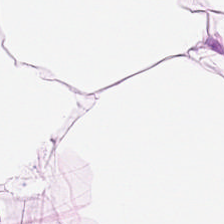Hematoxylin-and-eosin stained section · 224×224 px patch.
Impression → adipocytes.
